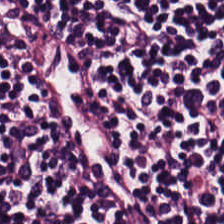Hematoxylin-and-eosin stained section.
Tissue type — lymphocyte aggregate.
